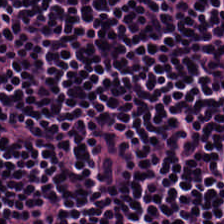Predominant tissue: lymphoid infiltrate.
